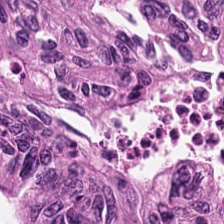The tissue here is colorectal adenocarcinoma.
